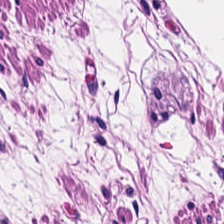Hematoxylin and eosin. Predominantly muscularis.
